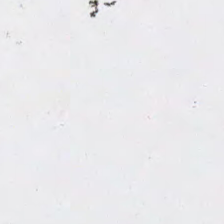Hematoxylin and eosin. This patch shows empty background.
